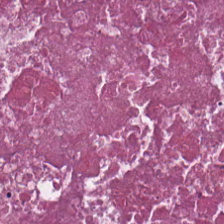FFPE tissue section. H&E. WSI patch. Finding — debris.
